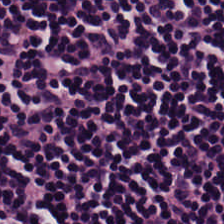Stain: H&E.
Tissue class: lymphocytic infiltrate.
